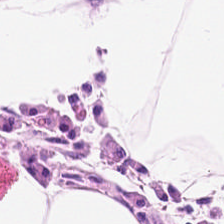H&E — adipose.
